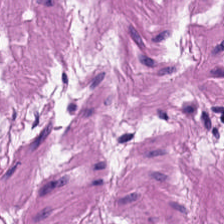Hematoxylin and eosin.
Q: What tissue is shown?
A: This is muscularis.
